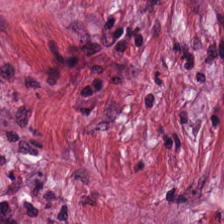H&E stain. Impression → desmoplastic stroma.
